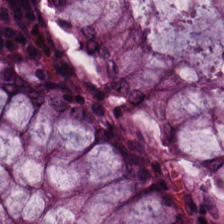H&E stain · 224×224 px patch.
Tissue class — normal colon mucosa.
